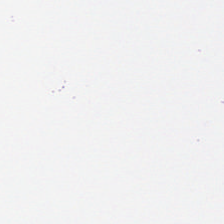Stain: hematoxylin-and-eosin stained section.
Tile size: 224×224 px tile.
Field content: background.
